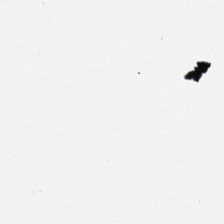0.5 µm/px; hematoxylin and eosin. This patch shows empty background.
